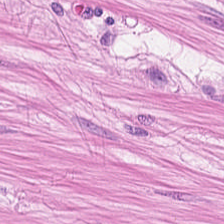H&E — Classification: smooth-muscle tissue.
